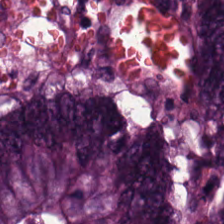Stain: H&E-stained tissue section.
Tile size: 224×224 px patch.
Classification: malignant epithelium.
